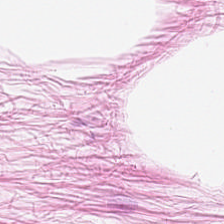Tissue — adipose.
